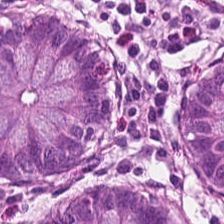H&E.
This patch shows benign colonic mucosa.
